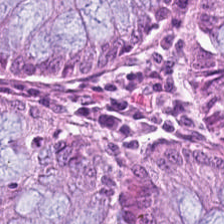H&E stain · 20× equivalent magnification — The tissue here is normal colonic mucosa.
